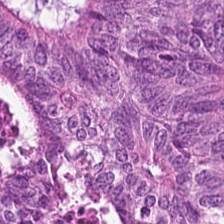H&E stain.
The tissue class is colorectal adenocarcinoma.
